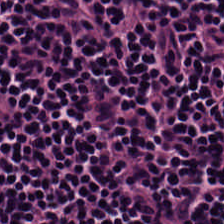H&E.
Predominantly lymphocytes.
